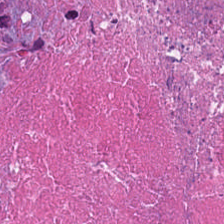Classification — debris.
